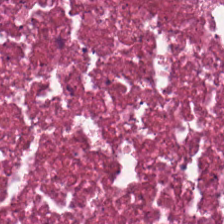0.5 µm per pixel. Hematoxylin-and-eosin stained section. FFPE.
Q: What type of tissue is this?
A: The field shows cellular debris.
